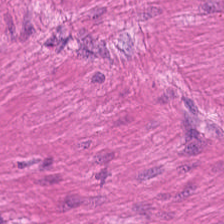The tissue class is muscularis.
